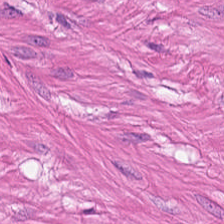Hematoxylin and eosin.
Tissue type: smooth muscle.
